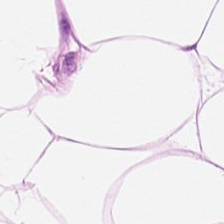0.5 µm/px · H&E-stained tissue section — Q: What is shown in this field?
A: This is adipose tissue.
